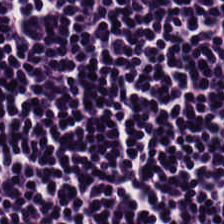Predominant tissue: lymphocytes.
